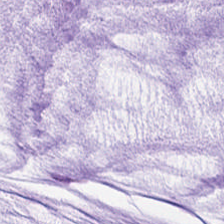{"tissue_type": "mucin"}
